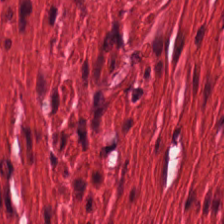H&E — Histology → smooth-muscle tissue.
